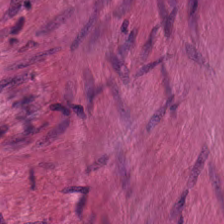H&E; formalin-fixed paraffin-embedded section — The predominant tissue is smooth muscle.
